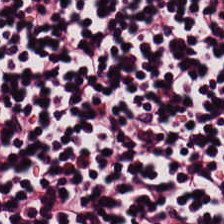Hematoxylin-and-eosin stained section. Showing lymphocytes.
